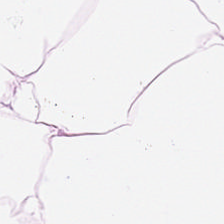Hematoxylin-and-eosin stained section — Tissue: fat tissue.
